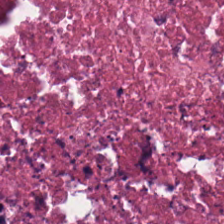Hematoxylin and eosin — Showing cellular debris.
